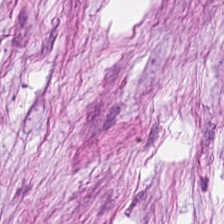H&E-stained tissue section.
{"tissue_type": "cancer-associated stroma"}
